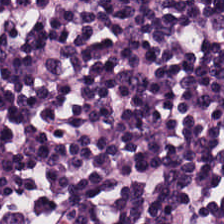Hematoxylin-and-eosin stained section. Tissue type — lymphoid infiltrate.
